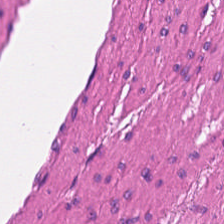H&E. The predominant tissue is muscularis.
